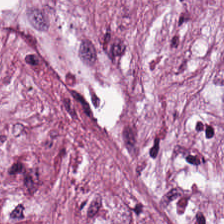Hematoxylin-and-eosin stained section.
Tissue type — tumor stroma.
